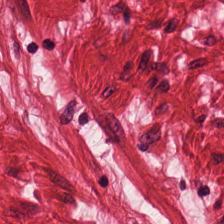20× equivalent magnification; H&E-stained tissue section — This patch shows muscularis.
